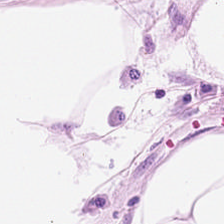Hematoxylin and eosin — This field is adipose tissue.
